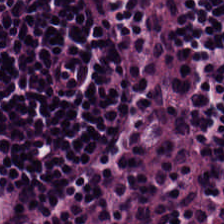Hematoxylin and eosin. Q: What type of tissue is this?
A: This is lymphocyte aggregate.
